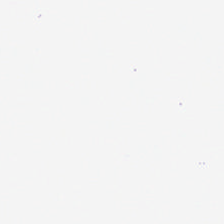Hematoxylin-and-eosin stained section · FFPE · brightfield microscopy — {"content": "empty background"}
